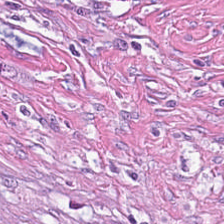Hematoxylin-and-eosin stained section. Q: What is shown here?
A: The field shows tumor stroma.
